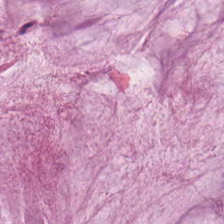Hematoxylin-and-eosin stained section · whole-slide-image patch · 0.5 µm/px.
Q: What is shown here?
A: It is mucin.
